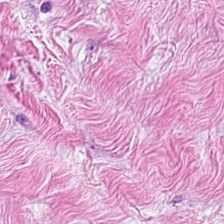Hematoxylin and eosin. The tissue here is cancer-associated stroma.
